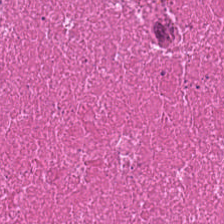Tissue = necrotic debris.
